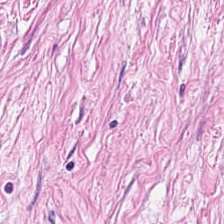Stain: H&E.
Predominant tissue: cancer-associated stroma.
